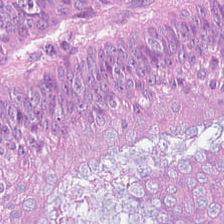H&E-stained tissue section — Impression → colorectal adenocarcinoma epithelium.
